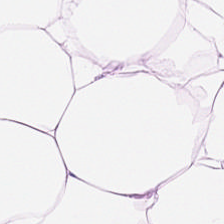Formalin-fixed paraffin-embedded section · hematoxylin-and-eosin stained section.
Classification = adipose tissue.
